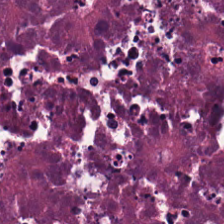Predominantly debris.
